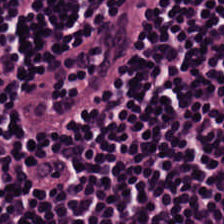Q: What tissue is shown?
A: It is lymphocytic infiltrate.
